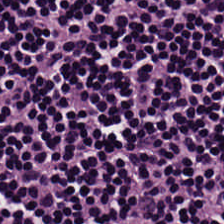H&E — This field is lymphocyte aggregate.
